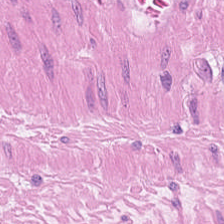Whole-slide-image patch. H&E-stained tissue section.
Impression → muscularis.
